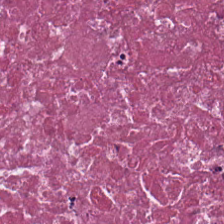H&E stain.
The tissue here is cellular debris.
